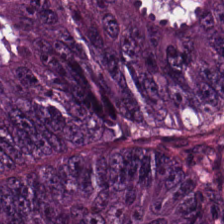Hematoxylin and eosin — Finding — adenocarcinoma.
